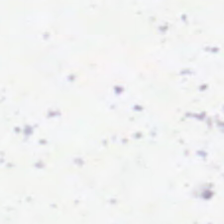H&E; FFPE — Q: What does this patch show?
A: This is background.
